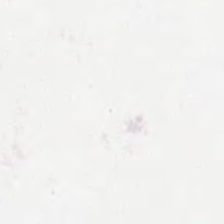Stain: hematoxylin and eosin.
Classification: empty background.
